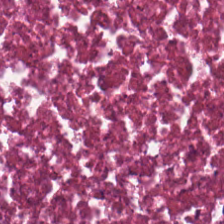H&E-stained tissue section · 0.5 microns per pixel — The tissue is necrotic debris.
